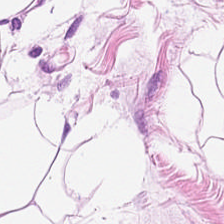H&E-stained section; the field shows fat tissue.
